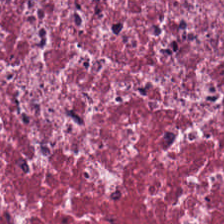Hematoxylin and eosin — Showing cancer-associated stroma.
